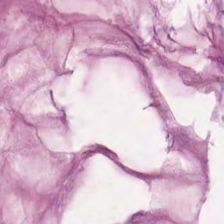Q: What tissue is shown?
A: It is mucin.
